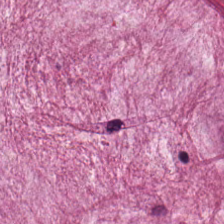Hematoxylin-and-eosin stained section. Whole-slide-image patch — Extracellular mucin.
